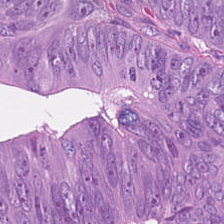H&E-stained tissue section · formalin-fixed paraffin-embedded section · 0.5 µm/px.
Q: What is shown in this field?
A: Colorectal adenocarcinoma.
